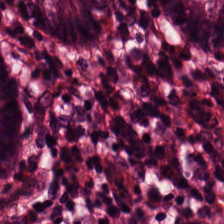Q: What tissue type is shown here?
A: It is normal colonic mucosa.
